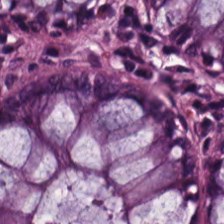Q: What is shown in this field?
A: Normal colonic mucosa.
